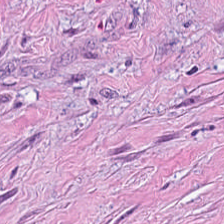Brightfield. H&E stain — Tissue class: tumor stroma.
